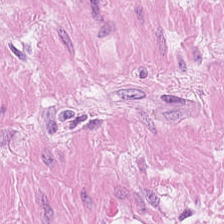This field is muscularis.
